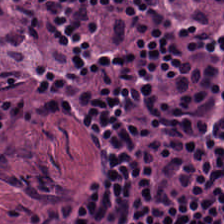H&E-stained tissue section.
Histology — lymphocytic infiltrate.
